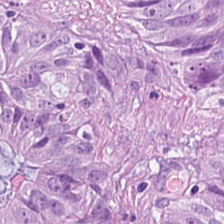Hematoxylin and eosin · 20× equivalent magnification — Tissue class = colorectal adenocarcinoma epithelium.
